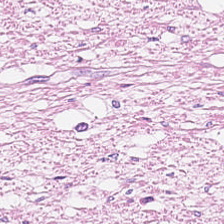H&E-stained tissue section. 0.5 µm/px. 224×224 px patch — Tissue class = smooth muscle.
